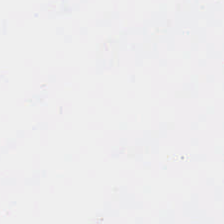H&E stain; FFPE tissue section — Empty field — background (no tissue).
